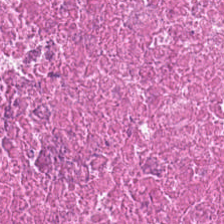224×224 px tile; hematoxylin and eosin.
Predominant tissue: necrotic debris.
